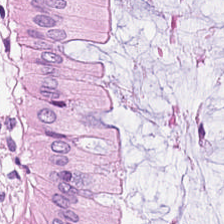Hematoxylin-and-eosin stained section.
Finding → non-neoplastic colon mucosa.
